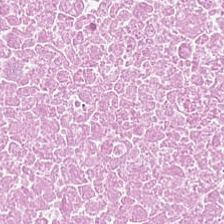The tissue here is necrotic debris.
